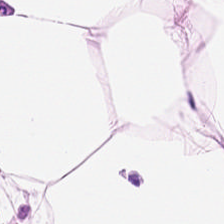Hematoxylin and eosin. Tissue = adipocytes.
